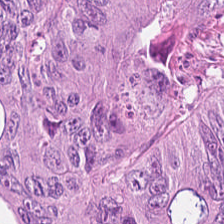H&E-stained tissue section. Q: What tissue type is shown here?
A: It is colorectal adenocarcinoma epithelium.
